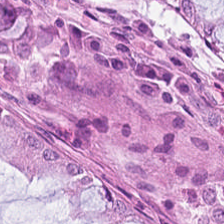H&E-stained tissue section. The predominant tissue is non-neoplastic colon mucosa.
